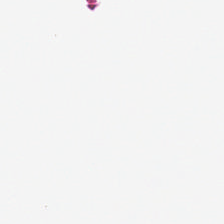Stain: H&E.
Field content: no tissue.
